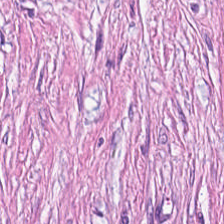Hematoxylin and eosin. Histology → tumor stroma.
